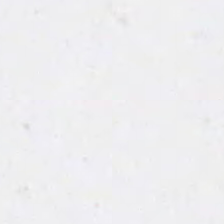H&E-stained tissue section. Field content: no tissue.
